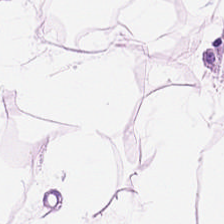Hematoxylin and eosin. This patch shows adipocytes.
